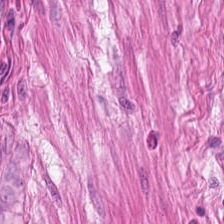H&E-stained tissue section showing muscularis.
